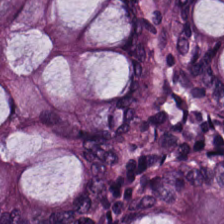Tissue class — benign colonic mucosa.
